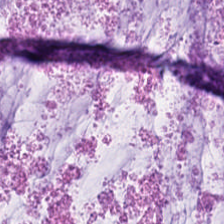H&E. Showing mucin.
